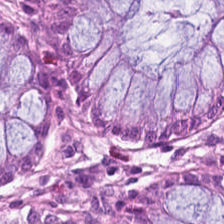FFPE tissue section · hematoxylin and eosin.
The tissue here is non-neoplastic colon mucosa.
